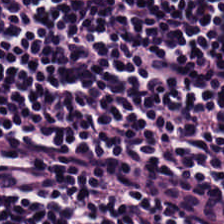Hematoxylin-and-eosin stained section · brightfield microscopy · 224×224 pixel tile.
The tissue here is lymphocytes.
